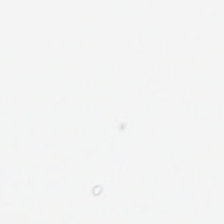Hematoxylin-and-eosin stained section — This patch shows background (no tissue).
